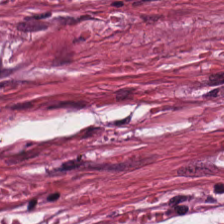This field is tumor stroma.
